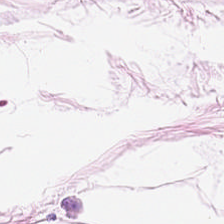Stain: hematoxylin-and-eosin stained section.
Tissue class: adipose.
